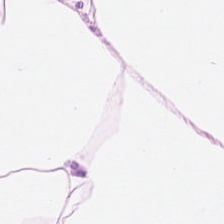Finding → adipose tissue.
